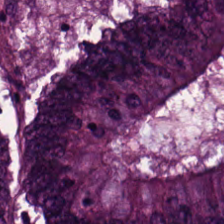H&E stain — Classification = adenocarcinoma.
